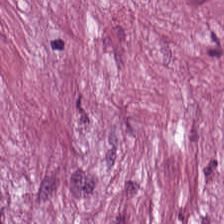Brightfield microscopy · hematoxylin-and-eosin stained section.
Q: What type of tissue is this?
A: This is cancer-associated stroma.
